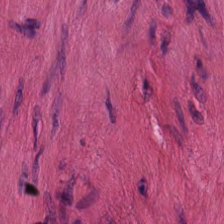224×224 px tile · brightfield microscopy · H&E stain.
This patch shows smooth muscle.
